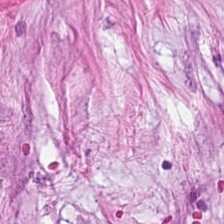Hematoxylin-and-eosin stained section.
Tissue type: cancer-associated stroma.
